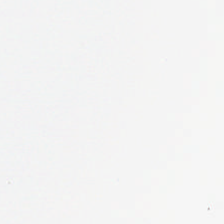H&E.
Q: What is shown in this field?
A: This is background (no tissue).
